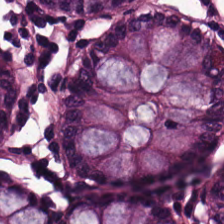Stain: H&E.
Predominant tissue: non-neoplastic colon mucosa.
